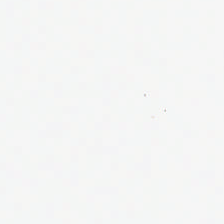The content is empty background.
